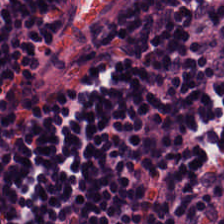Tissue type: lymphocyte aggregate.
